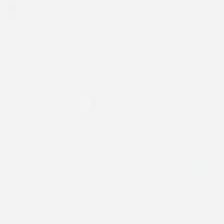Stain: H&E.
Resolution: 0.5 microns per pixel.
Tile size: 224×224 px tile.
Classification: background (no tissue).
